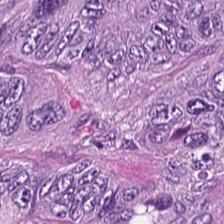20× equivalent magnification · brightfield microscopy · H&E-stained tissue section.
Classification: adenocarcinoma.
